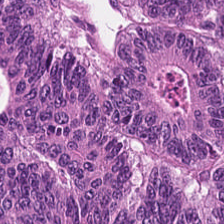Stain: H&E.
Tissue: adenocarcinoma.
